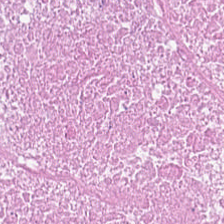Stain: H&E-stained tissue section.
Tile size: 224×224 px tile.
Preparation: FFPE tissue section.
Classification: cellular debris.
